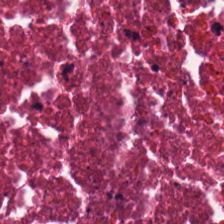H&E — Finding — cellular debris.
